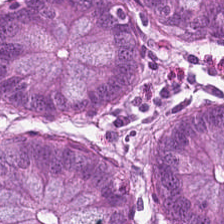0.5 µm/px. Hematoxylin-and-eosin stained section. FFPE.
{"tissue_type": "normal colonic mucosa"}
